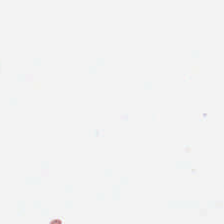Formalin-fixed paraffin-embedded section · H&E-stained tissue section · 224×224 px tile. Background (no tissue).
